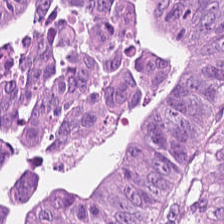H&E-stained tissue section — Classification = malignant epithelium.
